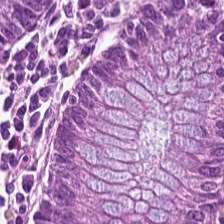Hematoxylin-and-eosin stained section. This field is benign colonic mucosa.
